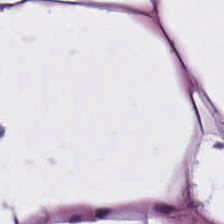Hematoxylin-and-eosin stained section.
The predominant tissue is adipose.
